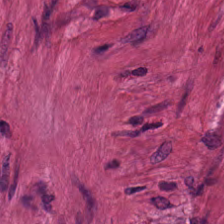FFPE. Hematoxylin and eosin — Q: What is the predominant tissue type?
A: It is muscularis.
